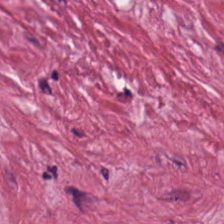Stain: hematoxylin and eosin.
Predominant tissue: cancer-associated stroma.
